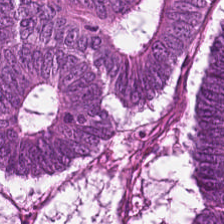H&E stain.
The classification is adenocarcinoma.
